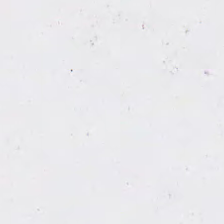Impression — background (no tissue).
